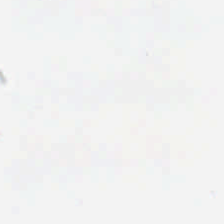Brightfield microscopy. 224×224 px patch. H&E-stained tissue section.
Empty field — background.
